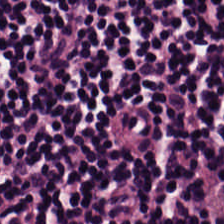Hematoxylin-and-eosin stained section — Histology — lymphocytic infiltrate.
